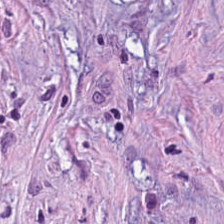H&E-stained tissue section showing cancer-associated stroma.
